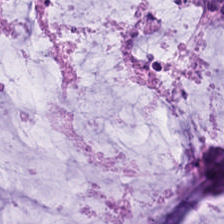H&E stain. The predominant tissue is mucin.
